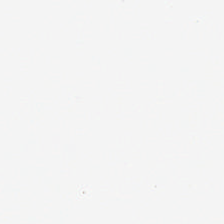Stain: hematoxylin-and-eosin stained section.
Resolution: 0.5 µm/px.
Tile size: 224×224 px tile.
Content: background.
